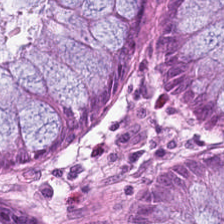Stain: hematoxylin-and-eosin stained section.
Tissue class: non-neoplastic colon mucosa.
